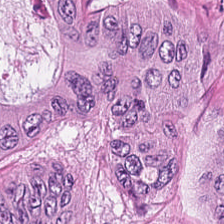Showing malignant epithelium.
